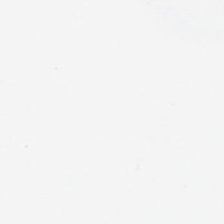0.5 µm per pixel; H&E-stained tissue section. Background — no tissue in this field.
